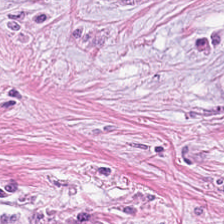H&E stain — The tissue here is desmoplastic stroma.
